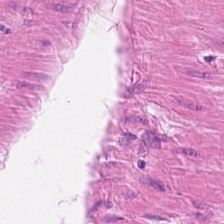H&E-stained tissue section.
The predominant tissue is muscularis.
